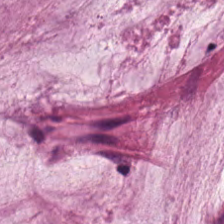This patch shows mucin.
